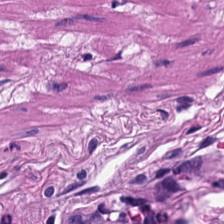Showing smooth-muscle tissue.
